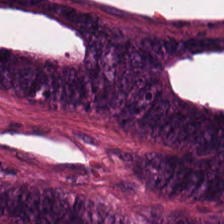Hematoxylin-and-eosin stained section · FFPE tissue section. Tissue type: tumor epithelium.
